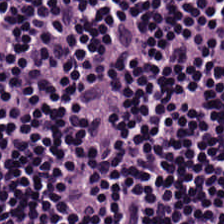Q: Classify this patch.
A: Lymphoid infiltrate.
